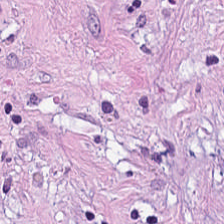H&E-stained tissue section showing tumor stroma.
